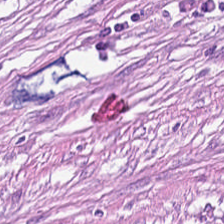H&E — Tissue type — desmoplastic stroma.
